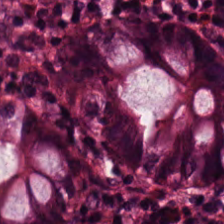Stain: H&E stain.
Tissue: normal colonic mucosa.
